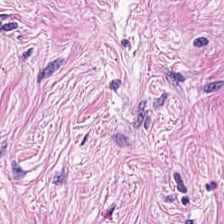Q: What type of tissue is this?
A: The field shows tumor-associated stroma.
